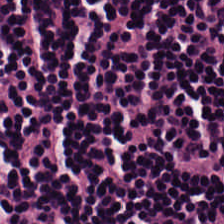This field is lymphocytes.
